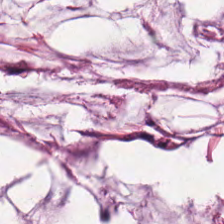H&E.
The tissue here is mucus.
